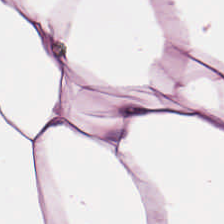H&E-stained tissue section. Predominantly adipocytes.
